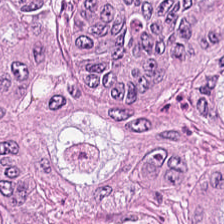H&E-stained tissue section. 0.5 microns per pixel.
This field is tumor epithelium.
